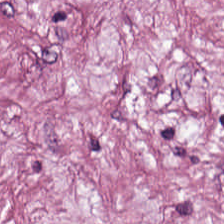H&E stain; 20× equivalent magnification — Q: What is shown here?
A: This is cancer-associated stroma.
